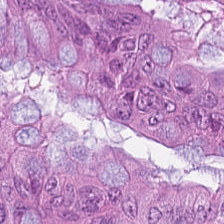H&E; 0.5 µm/px.
{"tissue_type": "adenocarcinoma"}
